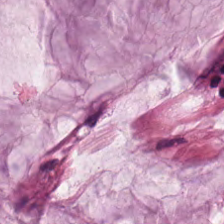Finding → mucin.
